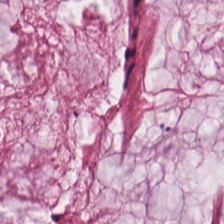The classification is mucin.
